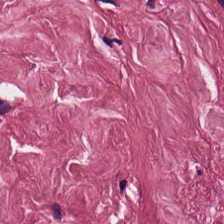Stain: hematoxylin and eosin.
Tissue type: desmoplastic stroma.
